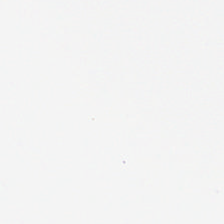Impression → empty background.
